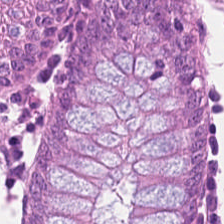Hematoxylin and eosin.
This field is non-neoplastic colon mucosa.
